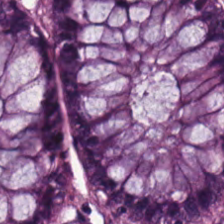Stain: H&E.
Predominant tissue: normal colonic mucosa.
